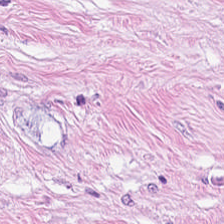Brightfield; hematoxylin and eosin. The tissue here is desmoplastic stroma.
